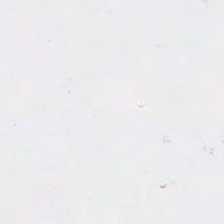H&E; brightfield.
This patch shows no tissue.
